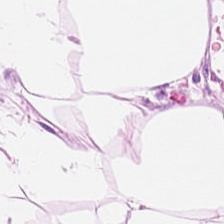Q: Identify the tissue.
A: The field shows adipocytes.
